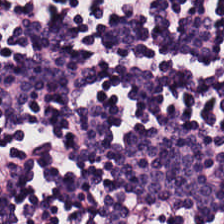Lymphocyte aggregate.
